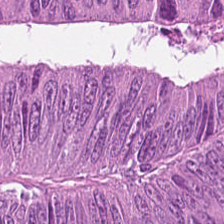Histology → adenocarcinoma.
